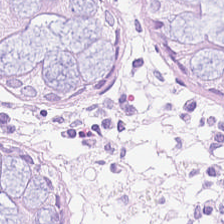Formalin-fixed paraffin-embedded section. H&E. Tissue type: non-neoplastic colon mucosa.
